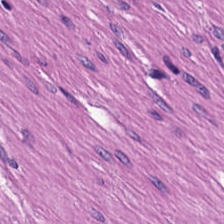H&E stain. Q: What type of tissue is this?
A: It is muscularis.
